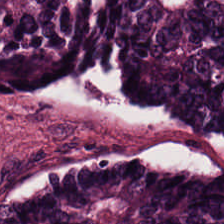H&E stain. Q: What does this patch show?
A: Colorectal adenocarcinoma.
